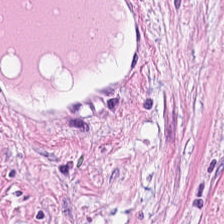Showing desmoplastic stroma.
